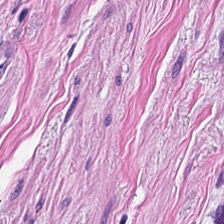H&E stain · 20× equivalent magnification · 224×224 px tile. Predominantly smooth-muscle tissue.
